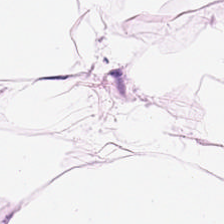Stain: H&E stain.
Tile size: 224×224 px patch.
Classification: fat tissue.
